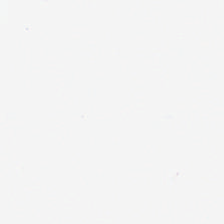Hematoxylin-and-eosin stained section.
Field content: empty background.
